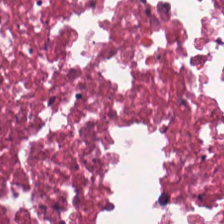WSI patch; H&E.
The predominant tissue is necrotic debris.
